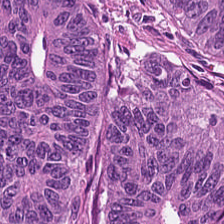H&E. Tissue class: adenocarcinoma.
